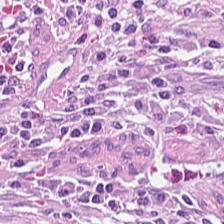Formalin-fixed paraffin-embedded section; hematoxylin-and-eosin stained section. Q: What tissue is shown?
A: It is tumor stroma.
